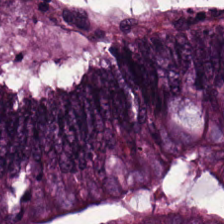0.5 µm/px. Hematoxylin-and-eosin stained section — This patch shows colorectal adenocarcinoma epithelium.
